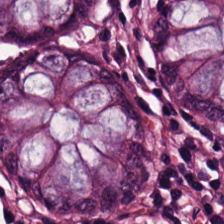H&E — Showing non-neoplastic colon mucosa.
